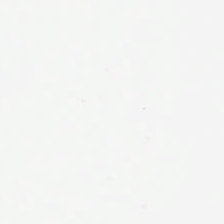Q: Classify this patch.
A: It is background.
